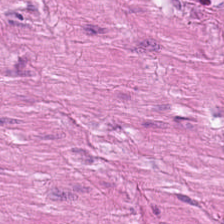H&E stain. Tissue = smooth muscle.
